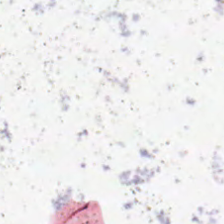WSI patch · 224×224 px tile · hematoxylin and eosin.
Empty field — background (no tissue).
